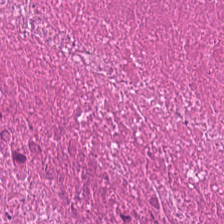Hematoxylin-and-eosin stained section. WSI patch.
{"tissue_type": "necrotic debris"}
